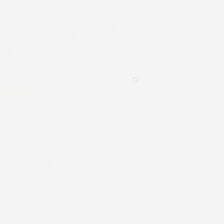H&E stain. Q: What does this patch show?
A: This is background (no tissue).
